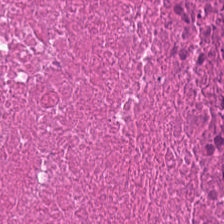Finding → necrotic debris.
